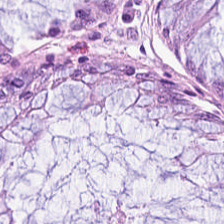Predominantly benign colonic mucosa.
